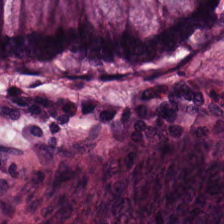Brightfield microscopy · H&E stain.
This field is non-neoplastic colon mucosa.
